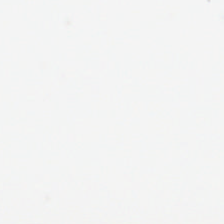Background — no tissue in this field.
